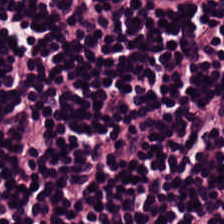Stain: H&E stain.
Tissue class: lymphocytic infiltrate.
